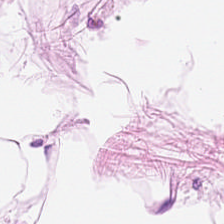Stain: hematoxylin and eosin.
Tile size: 224×224 pixel tile.
Tissue class: fat tissue.
